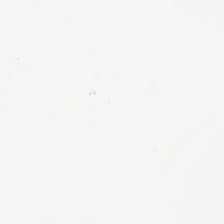Stain: hematoxylin-and-eosin stained section.
Content: background.
